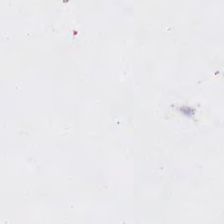H&E stain. FFPE. Field content — background (no tissue).
